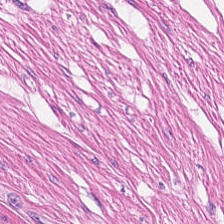H&E-stained tissue section — {"tissue_type": "muscularis"}
